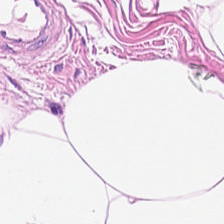224×224 px tile · hematoxylin and eosin · whole-slide-image patch.
Finding → fat tissue.
